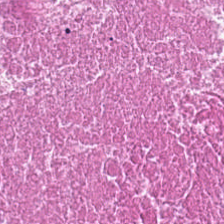{"tissue_type": "necrotic debris"}
